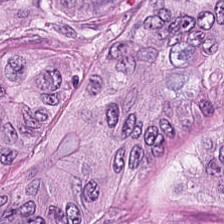H&E-stained tissue section · 0.5 µm per pixel.
The predominant tissue is colorectal adenocarcinoma epithelium.
